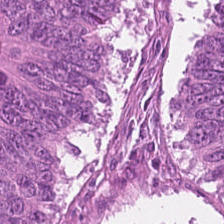Hematoxylin and eosin.
Predominant tissue — malignant epithelium.
